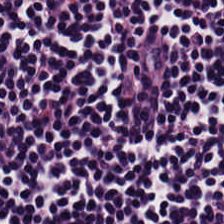WSI patch · H&E stain — Q: What is shown in this field?
A: The field shows lymphocytic infiltrate.
